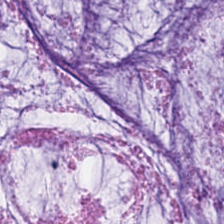Predominant tissue — extracellular mucin.
